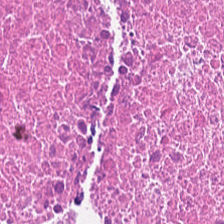Stain: hematoxylin-and-eosin stained section.
Acquisition: brightfield microscopy.
Predominant tissue: debris.
